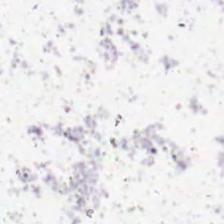Hematoxylin and eosin.
Q: What does this patch show?
A: The field shows background (no tissue).
